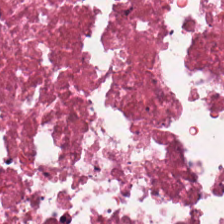{"tissue_type": "necrotic debris"}
